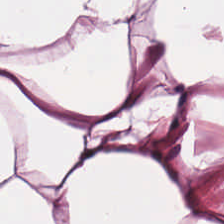H&E.
Tissue type — adipose tissue.
